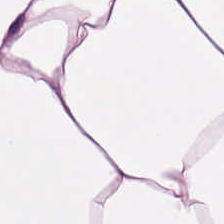H&E-stained tissue section. This patch shows adipose tissue.
